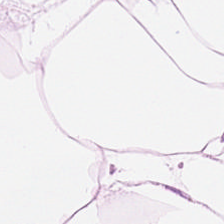224×224 px patch · H&E.
{"tissue_type": "fat tissue"}
